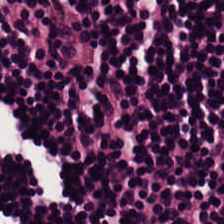Q: Classify this patch.
A: It is lymphocytic infiltrate.
